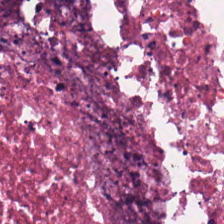Whole-slide-image patch; H&E. Histology — cellular debris.
